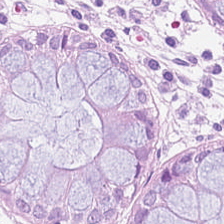Hematoxylin-and-eosin stained section. Predominantly normal colon mucosa.
